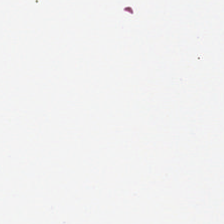FFPE tissue section; hematoxylin and eosin — Classification = background.
